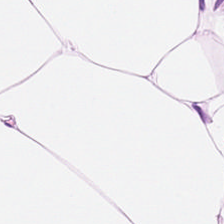The predominant tissue is adipose.
